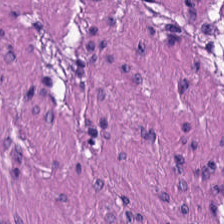Hematoxylin and eosin; 224×224 px patch. Showing muscularis.
